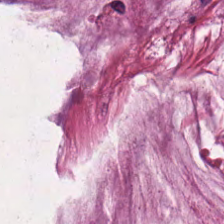Histology — mucus.
